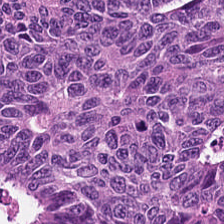H&E-stained tissue section. {"tissue_type": "malignant epithelium"}
